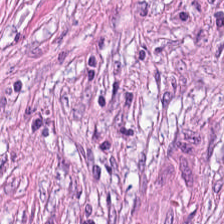Hematoxylin and eosin; 224×224 pixel tile; brightfield — The classification is desmoplastic stroma.
